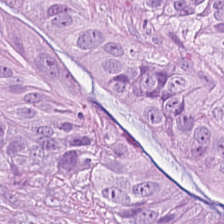H&E-stained tissue section.
Tissue type = malignant epithelium.
